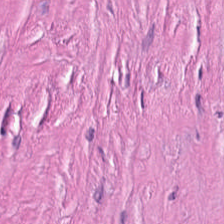Brightfield microscopy · hematoxylin and eosin — The tissue is desmoplastic stroma.
